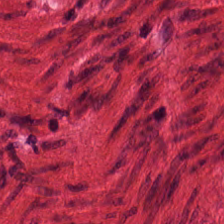0.5 µm per pixel; hematoxylin and eosin — This patch shows smooth-muscle tissue.
